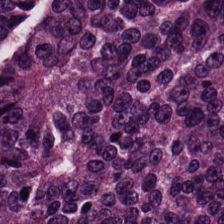Whole-slide-image patch · hematoxylin-and-eosin stained section · 20× equivalent magnification — The tissue here is colorectal adenocarcinoma epithelium.
